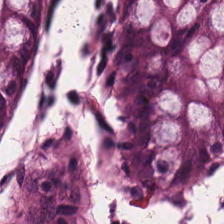Stain: H&E.
Predominant tissue: normal colonic mucosa.
